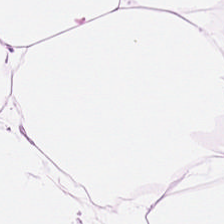H&E stain. The predominant tissue is adipocytes.
